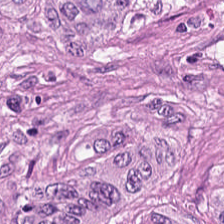Brightfield · FFPE · H&E-stained tissue section. Malignant epithelium.
